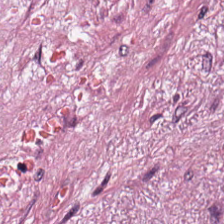Tumor stroma.
